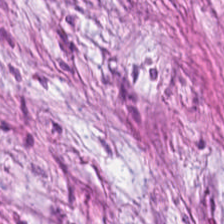H&E stain; formalin-fixed paraffin-embedded section — Tissue: cancer-associated stroma.
